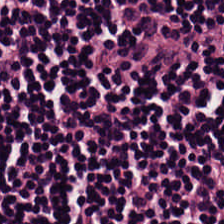Showing lymphocytic infiltrate.
